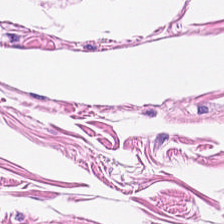Hematoxylin and eosin. Brightfield. Q: Classify this patch.
A: Smooth muscle.
